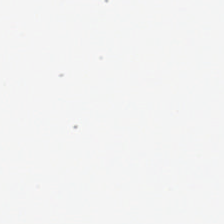Hematoxylin-and-eosin stained section. This patch shows no tissue.
